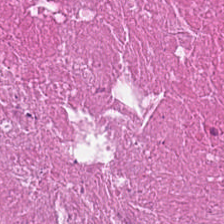This patch shows debris.
